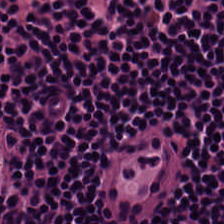H&E-stained tissue section — Q: What does this patch show?
A: This is lymphoid infiltrate.
